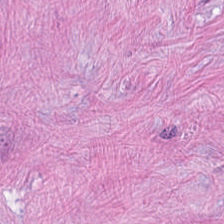Hematoxylin-and-eosin stained section.
Tissue type — tumor-associated stroma.
